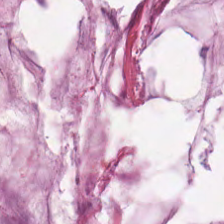Hematoxylin-and-eosin stained section. Q: What tissue type is shown here?
A: This is extracellular mucin.
